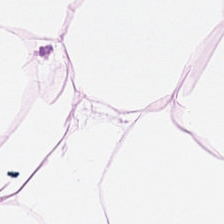Tissue class — fat tissue.
